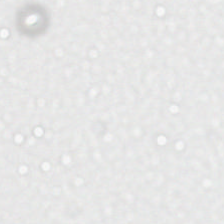224×224 pixel tile. H&E-stained tissue section. Empty field — background (no tissue).
